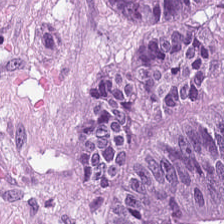The predominant tissue is tumor epithelium.
